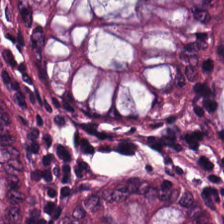H&E stain. This field is benign colonic mucosa.
